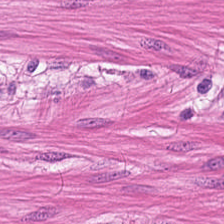H&E patch showing smooth muscle.
